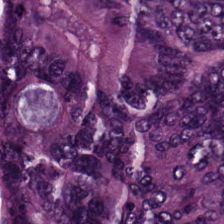0.5 µm per pixel. Hematoxylin-and-eosin stained section. The tissue is malignant epithelium.
